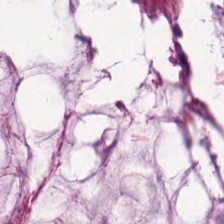Hematoxylin and eosin · 20× equivalent magnification · WSI patch. Histology — extracellular mucin.
